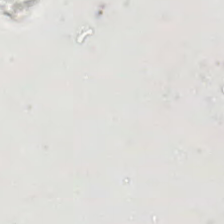The field content is no tissue.
